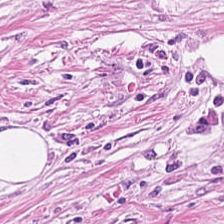Stain: H&E-stained tissue section.
Tissue type: tumor stroma.
